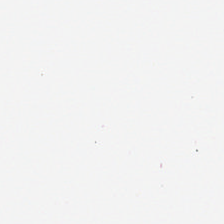H&E-stained tissue section.
Histology → empty background.
